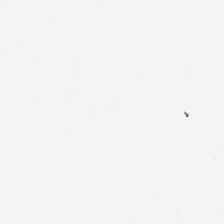Hematoxylin-and-eosin stained section · brightfield microscopy · 0.5 µm per pixel.
No tissue present; background only.
